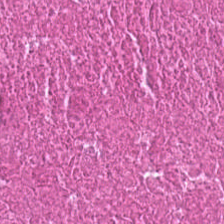0.5 microns per pixel. H&E stain. Whole-slide-image patch. Predominant tissue = cellular debris.
